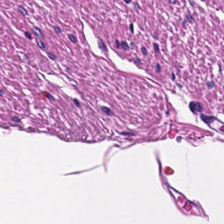H&E.
This patch shows muscularis.
